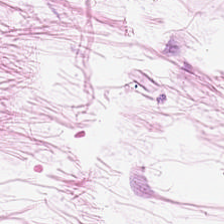Hematoxylin-and-eosin stained section — Predominantly adipocytes.
